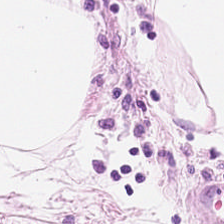Hematoxylin and eosin. Impression → adipose tissue.
